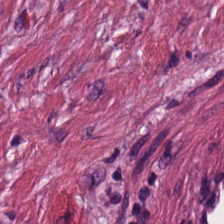Stain: H&E-stained tissue section.
Tissue type: tumor-associated stroma.
